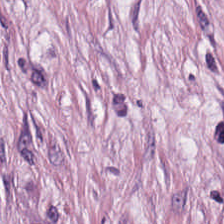H&E.
Cancer-associated stroma.
